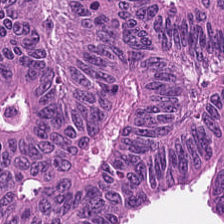224×224 pixel tile. H&E stain. FFPE. This field is tumor epithelium.
